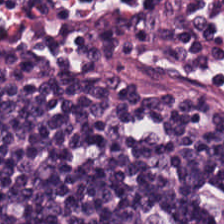Hematoxylin and eosin. FFPE tissue section. 224×224 pixel tile. Tissue type: lymphoid infiltrate.
